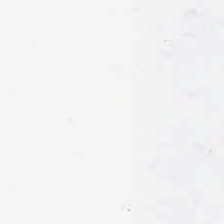Hematoxylin and eosin — No tissue present; background only.
